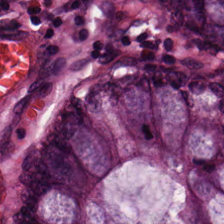{"tissue_type": "normal colon mucosa"}
